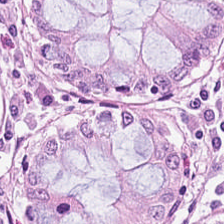H&E — Q: What type of tissue is this?
A: The field shows normal colonic mucosa.
